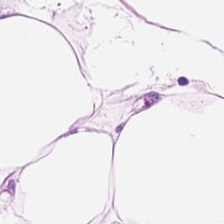Hematoxylin-and-eosin stained section · 0.5 µm per pixel.
Tissue type = adipocytes.
